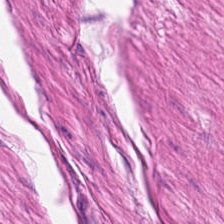Whole-slide-image patch. FFPE. H&E-stained tissue section.
Smooth-muscle tissue.
